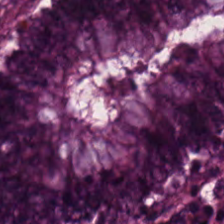20× equivalent magnification. H&E-stained tissue section. FFPE tissue section. The predominant tissue is normal colonic mucosa.
